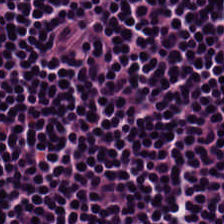Tissue class = lymphocyte aggregate.
